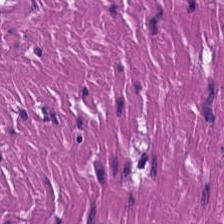224×224 pixel tile. H&E stain.
Histology — smooth muscle.
